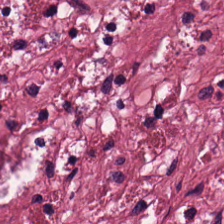WSI patch; hematoxylin and eosin — This field is tumor stroma.
